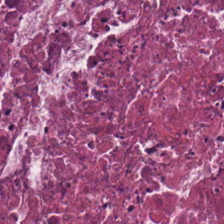Hematoxylin and eosin. 224×224 px patch.
Finding → cellular debris.
